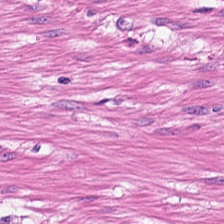Brightfield microscopy; H&E-stained tissue section; 20× equivalent magnification. Tissue class: smooth muscle.
